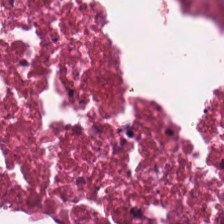FFPE · 224×224 px patch · H&E-stained tissue section — The tissue here is necrotic debris.
